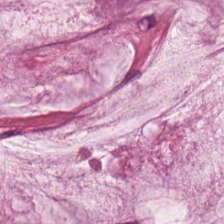H&E · 224×224 px patch.
Q: Identify the tissue.
A: The field shows mucus.
